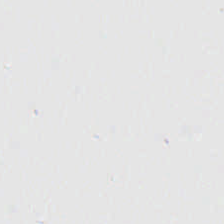Stain: H&E-stained tissue section.
Field content: no tissue.
